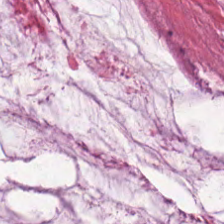H&E-stained tissue section.
Tissue class = mucus.
